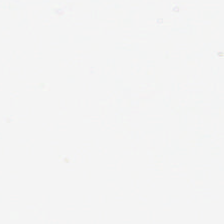Formalin-fixed paraffin-embedded section · 0.5 µm/px · hematoxylin and eosin.
Q: What does this patch show?
A: The field shows background.
